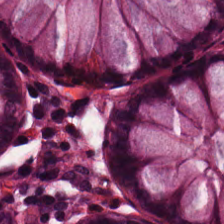H&E stain; 224×224 pixel tile. This field is normal colonic mucosa.
